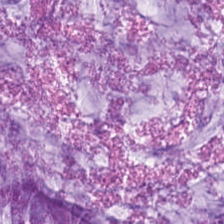H&E stain — This patch shows extracellular mucin.
